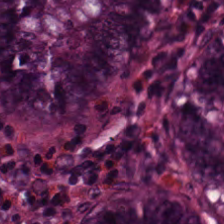Stain: hematoxylin and eosin.
Acquisition: WSI patch.
Tile size: 224×224 px tile.
Classification: normal colonic mucosa.
